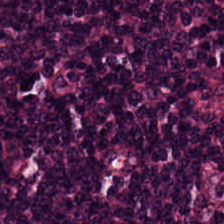Hematoxylin and eosin. Q: Classify this patch.
A: The field shows lymphocytes.
